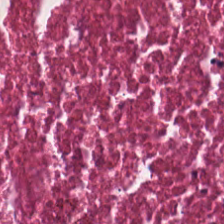Formalin-fixed paraffin-embedded section; hematoxylin and eosin — Predominantly debris.
